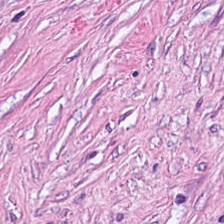Brightfield · H&E stain · 224×224 pixel tile.
Classification — tumor stroma.
